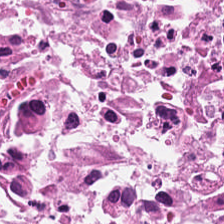Hematoxylin-and-eosin stained section — Q: What is shown here?
A: Cellular debris.
